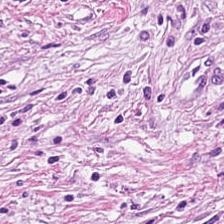H&E; WSI patch. Tissue — cancer-associated stroma.
